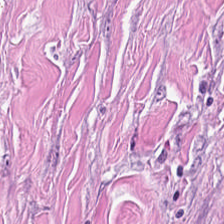H&E-stained tissue section — {"tissue_type": "cancer-associated stroma"}
